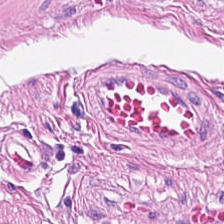{"tissue_type": "smooth-muscle tissue"}
